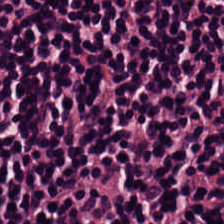Hematoxylin and eosin. Showing lymphoid infiltrate.
